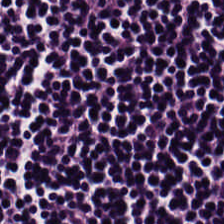H&E stain. 224×224 px tile.
Tissue type — lymphocytes.
